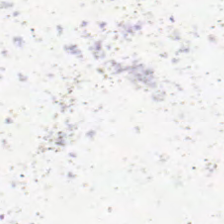Field content: no tissue.
